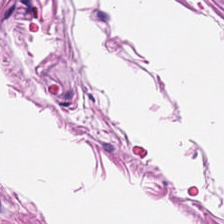H&E patch showing smooth-muscle tissue.
